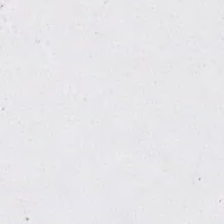Hematoxylin-and-eosin stained section — Histology → empty background.
